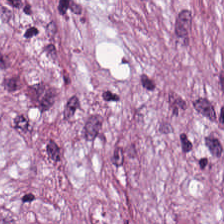Stain: H&E.
Acquisition: WSI patch.
Tissue: desmoplastic stroma.
